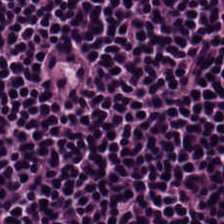H&E stain; brightfield. The predominant tissue is lymphocyte aggregate.
